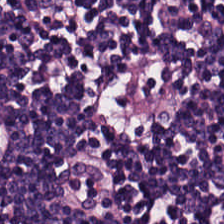H&E-stained tissue section; brightfield microscopy; 224×224 pixel tile.
The tissue class is lymphocytic infiltrate.
